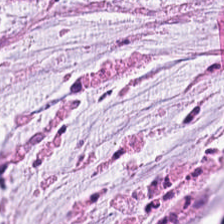Stain: hematoxylin and eosin.
Preparation: FFPE.
Tissue type: mucus.
